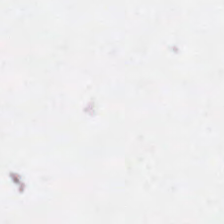224×224 px patch; WSI patch; H&E-stained tissue section.
Field content = empty background.
